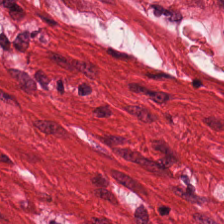This field is smooth-muscle tissue.
